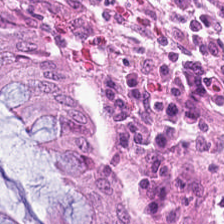H&E-stained tissue section. Q: What tissue type is shown here?
A: Normal colon mucosa.
